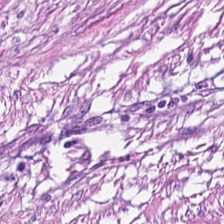H&E stain. Tumor-associated stroma.
